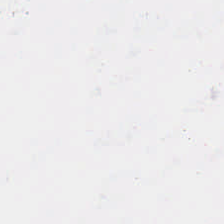H&E-stained tissue section. This patch shows no tissue.
